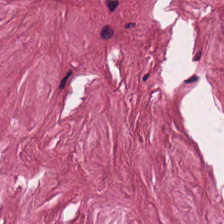H&E-stained tissue section. Classification: tumor-associated stroma.
